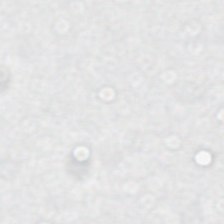Empty field — no tissue.
